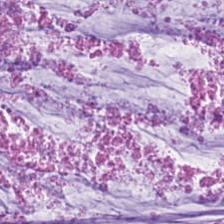H&E. Whole-slide-image patch. The tissue here is extracellular mucin.
